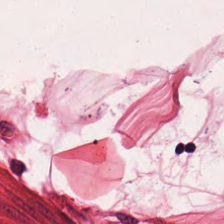H&E-stained tissue section. 0.5 µm/px. FFPE. Histology — smooth muscle.
